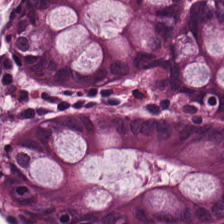H&E-stained tissue section.
Showing normal colon mucosa.
